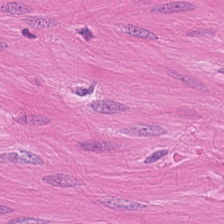WSI patch; hematoxylin-and-eosin stained section.
Showing smooth muscle.
